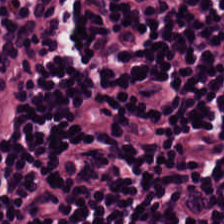Hematoxylin-and-eosin stained section.
The predominant tissue is lymphoid infiltrate.
